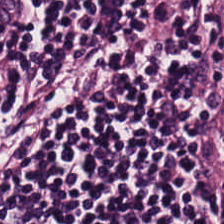H&E. 224×224 px tile. Formalin-fixed paraffin-embedded section. The predominant tissue is lymphocytic infiltrate.
